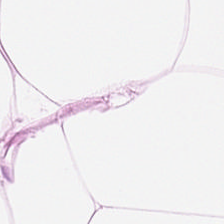224×224 px patch. Hematoxylin and eosin — Predominantly adipose tissue.
